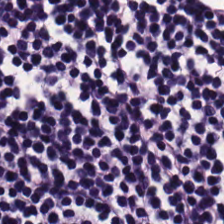Whole-slide-image patch. H&E-stained tissue section. 224×224 px patch. Impression — lymphocyte aggregate.
